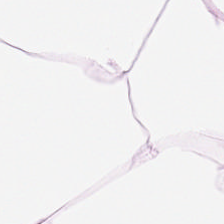H&E.
Classification = fat tissue.
